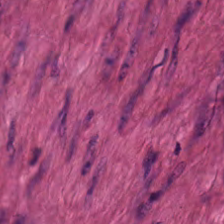Formalin-fixed paraffin-embedded section. Hematoxylin and eosin. The predominant tissue is muscularis.
